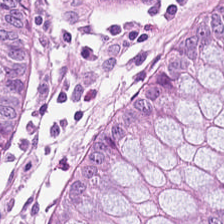Stain: hematoxylin-and-eosin stained section.
Resolution: 20× equivalent magnification.
Predominant tissue: normal colon mucosa.
